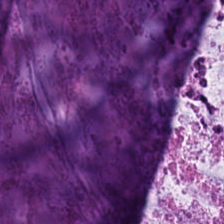H&E stain; brightfield microscopy.
Histology → mucus.
